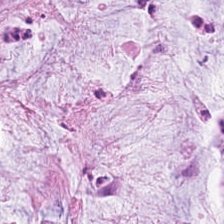Hematoxylin-and-eosin stained section. Formalin-fixed paraffin-embedded section. The tissue class is extracellular mucin.
